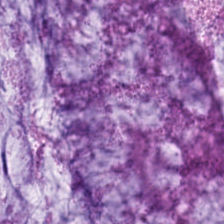Hematoxylin and eosin. Q: What is shown in this field?
A: This is extracellular mucin.
